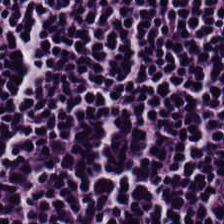0.5 microns per pixel · FFPE tissue section · H&E stain — Tissue class — lymphocyte aggregate.
